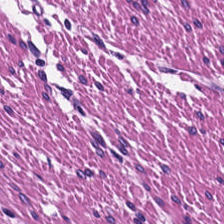Brightfield. FFPE. H&E-stained tissue section — This field is smooth muscle.
